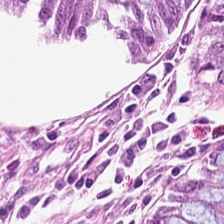Whole-slide-image patch · hematoxylin-and-eosin stained section · 224×224 px tile — Tissue: non-neoplastic colon mucosa.
